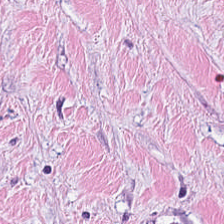Q: Identify the tissue.
A: This is desmoplastic stroma.
